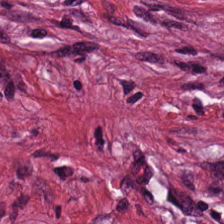Finding — desmoplastic stroma.
